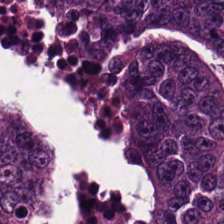Brightfield microscopy; hematoxylin-and-eosin stained section.
{"tissue_type": "colorectal adenocarcinoma"}
